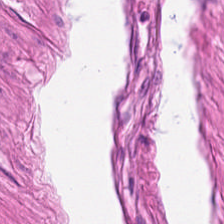20× equivalent magnification; H&E stain. Predominantly muscularis.
